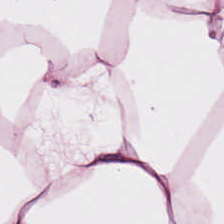Hematoxylin-and-eosin stained section.
This patch shows adipocytes.
